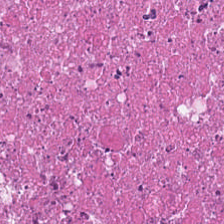Stain: H&E.
Classification: necrotic debris.
